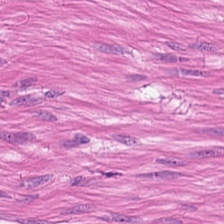H&E stain · 224×224 pixel tile — Q: What is shown here?
A: It is smooth-muscle tissue.
